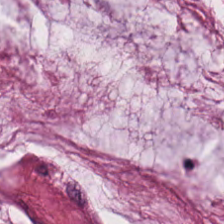H&E-stained tissue section.
Q: What is shown in this field?
A: It is extracellular mucin.
